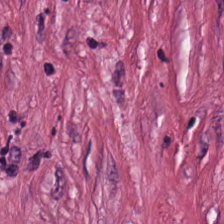0.5 µm per pixel · H&E.
Finding → desmoplastic stroma.
